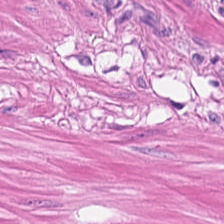This field is smooth-muscle tissue.
